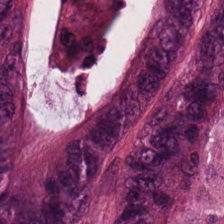H&E-stained section; the field shows malignant epithelium.
